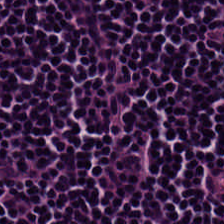Stain: H&E-stained tissue section.
Preparation: FFPE.
Predominant tissue: lymphocyte aggregate.
